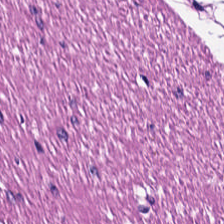H&E. Showing smooth muscle.
